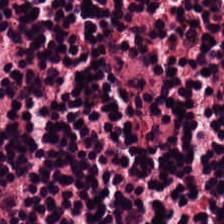Histology → lymphocytic infiltrate.
